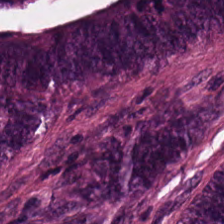Predominantly tumor epithelium.
